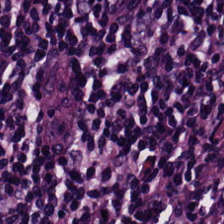0.5 microns per pixel. 224×224 px patch. H&E — Histology — lymphocytes.
